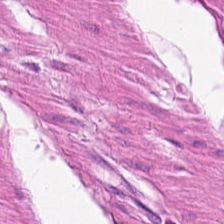H&E stain.
The classification is muscularis.
